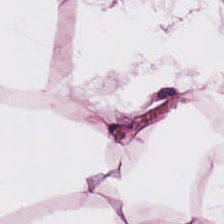Hematoxylin-and-eosin stained section · brightfield.
Predominant tissue = adipose tissue.
